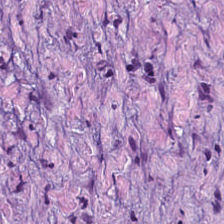Brightfield; hematoxylin-and-eosin stained section — Impression → desmoplastic stroma.
